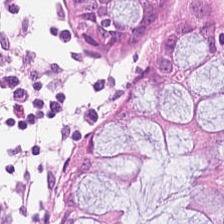{"tissue_type": "non-neoplastic colon mucosa"}
